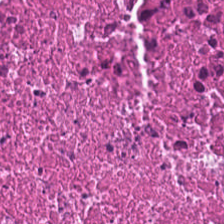Stain: H&E-stained tissue section.
Tissue class: debris.
